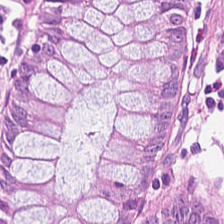Classification: normal colon mucosa.
